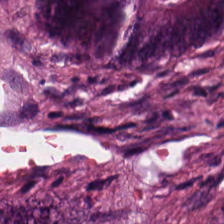Stain: H&E.
Tissue type: adenocarcinoma.
